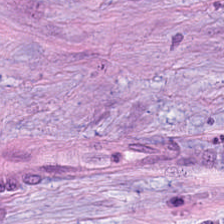Q: What tissue type is shown here?
A: This is tumor stroma.
